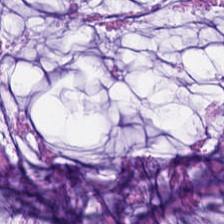H&E-stained tissue section; formalin-fixed paraffin-embedded section — This field is mucus.
